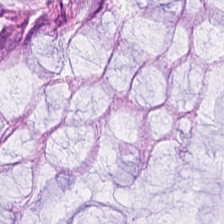Hematoxylin and eosin. The predominant tissue is normal colon mucosa.
